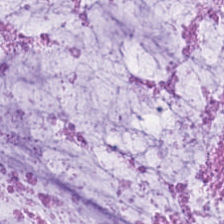H&E. Formalin-fixed paraffin-embedded section — Impression — extracellular mucin.
